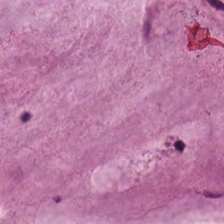Hematoxylin-and-eosin stained section; 224×224 px tile — Q: What tissue type is shown here?
A: This is mucin.
